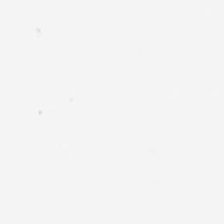20× equivalent magnification. Hematoxylin and eosin. {"content": "empty background"}
